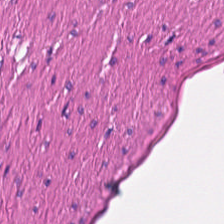Stain: H&E.
Preparation: FFPE tissue section.
Predominant tissue: muscularis.
